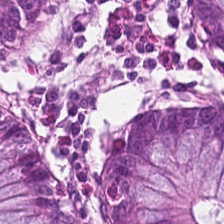Hematoxylin and eosin.
Histology — normal colon mucosa.
